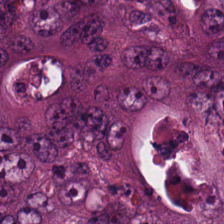Hematoxylin-and-eosin section: adenocarcinoma.
